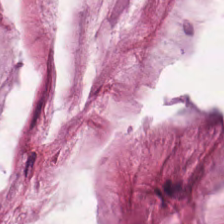Predominant tissue — extracellular mucin.
